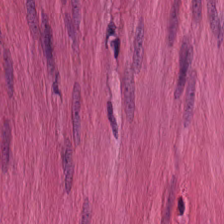H&E · 0.5 µm/px.
Predominantly smooth-muscle tissue.
